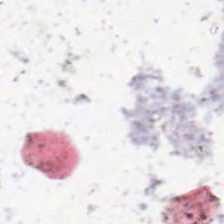H&E-stained tissue section.
No tissue present; background only.
